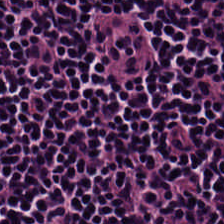Impression — lymphoid infiltrate.
